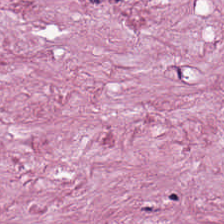Hematoxylin and eosin; 0.5 microns per pixel — This field is cancer-associated stroma.
